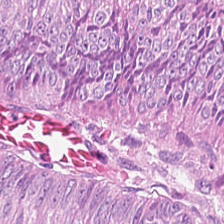Stain: H&E stain.
Classification: adenocarcinoma.
